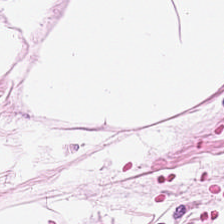This field is adipose tissue.
